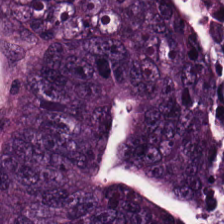20× equivalent magnification. Hematoxylin-and-eosin stained section. Predominant tissue — tumor epithelium.
